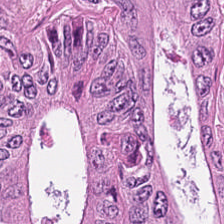H&E stain · formalin-fixed paraffin-embedded section. Classification: adenocarcinoma.
